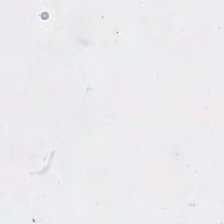Q: Classify this patch.
A: The field shows empty background.
